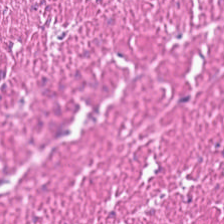224×224 px tile. Brightfield microscopy. Hematoxylin-and-eosin stained section. Q: What is shown here?
A: This is muscularis.
